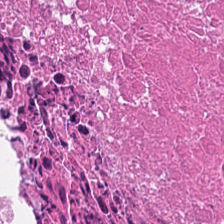Hematoxylin-and-eosin stained section. FFPE. 0.5 µm/px.
Histology → debris.
